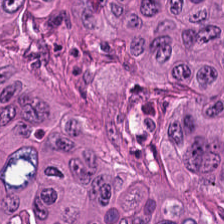H&E. 224×224 px tile. 0.5 microns per pixel. Colorectal adenocarcinoma.
